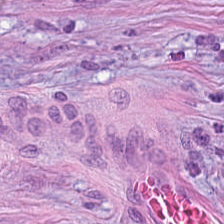Hematoxylin and eosin.
Impression → tumor-associated stroma.
